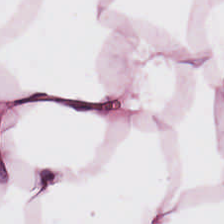H&E. 224×224 px tile. Whole-slide-image patch. This patch shows adipocytes.
